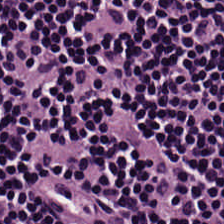Brightfield · H&E. Showing lymphocyte aggregate.
